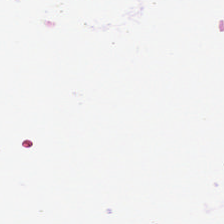H&E stain. Field content: empty background.
